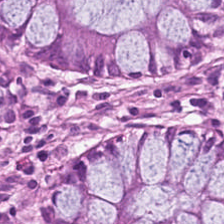H&E stain. WSI patch. 0.5 microns per pixel.
The predominant tissue is benign colonic mucosa.
